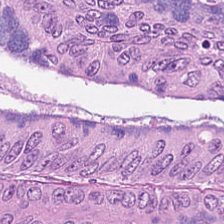Hematoxylin and eosin. FFPE tissue section — Q: What is shown in this field?
A: It is colorectal adenocarcinoma epithelium.
